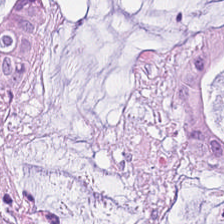224×224 px tile · 0.5 µm/px · H&E stain. Predominantly extracellular mucin.
